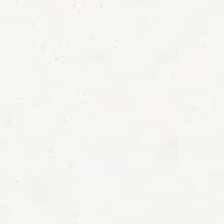No tissue present; background only.
